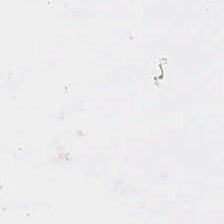H&E · FFPE.
Q: What does this patch show?
A: The field shows background (no tissue).
